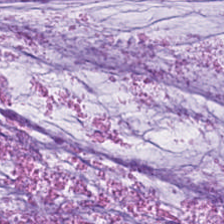This patch shows extracellular mucin.
